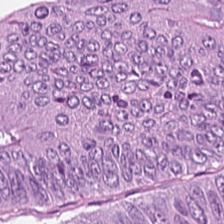H&E-stained tissue section — The tissue here is tumor epithelium.
